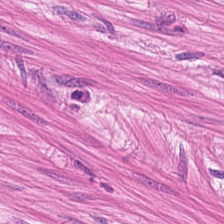H&E stain — Finding — smooth muscle.
